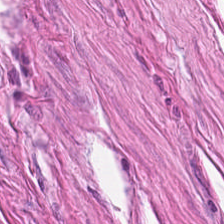224×224 px tile; H&E stain. The predominant tissue is smooth muscle.
